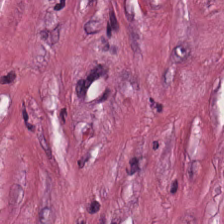Hematoxylin-and-eosin stained section — Showing tumor stroma.
